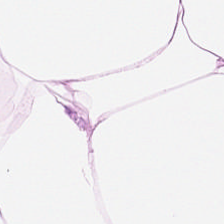FFPE tissue section. 224×224 px patch. Hematoxylin-and-eosin stained section. The tissue class is adipocytes.
